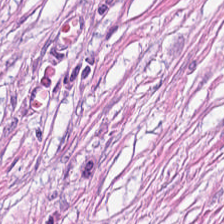Stain: hematoxylin and eosin.
Acquisition: WSI patch.
Tile size: 224×224 pixel tile.
Tissue class: tumor-associated stroma.
